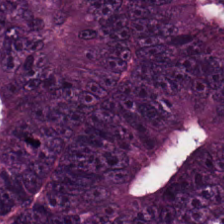H&E; WSI patch. Predominant tissue — tumor epithelium.
